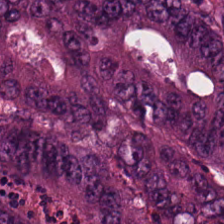Hematoxylin-and-eosin stained section.
Q: What is the predominant tissue type?
A: Adenocarcinoma.
